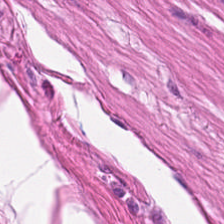Hematoxylin and eosin; WSI patch; 224×224 px tile.
The classification is smooth muscle.
